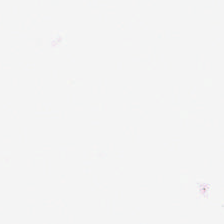H&E-stained tissue section — Background.
